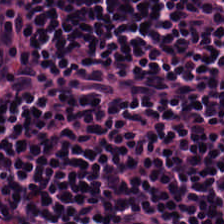H&E-stained tissue section. The tissue here is lymphoid infiltrate.
